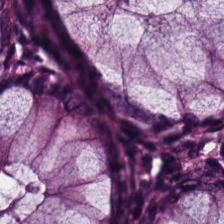H&E-stained tissue section.
The predominant tissue is benign colonic mucosa.
